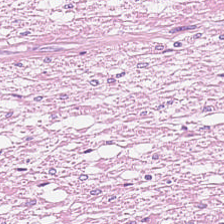H&E. Predominant tissue: smooth muscle.
